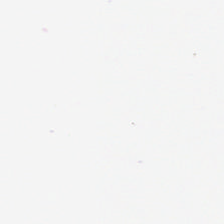Q: Classify this patch.
A: This is no tissue.
